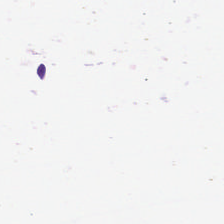Stain: H&E stain.
Classification: background.
